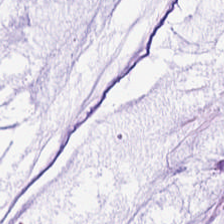H&E-stained tissue section.
Showing extracellular mucin.
